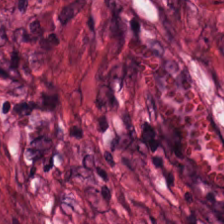The predominant tissue is tumor stroma.
